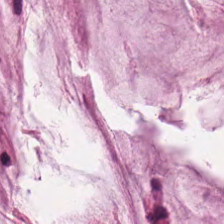H&E stain — Histology — extracellular mucin.
